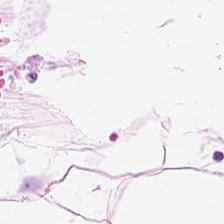H&E-stained tissue section — Classification = adipose tissue.
